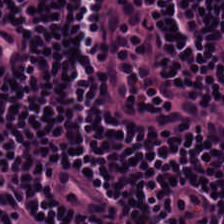H&E-stained tissue section.
Showing lymphoid infiltrate.
